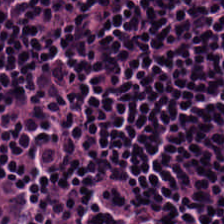H&E; WSI patch. Lymphoid infiltrate.
